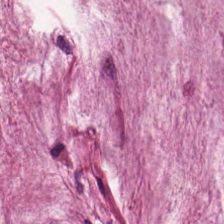Stain: H&E stain.
Tissue type: extracellular mucin.
